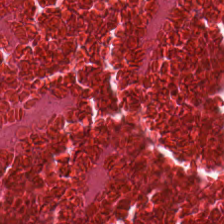Whole-slide-image patch · formalin-fixed paraffin-embedded section · H&E stain. Predominantly debris.
